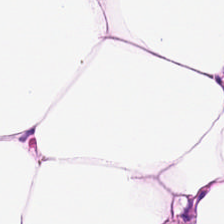The tissue here is adipocytes.
